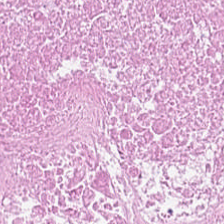The tissue is debris.
